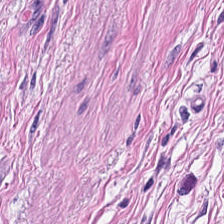Hematoxylin-and-eosin stained section — The predominant tissue is muscularis.
